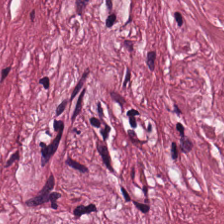224×224 px tile; hematoxylin and eosin — Q: What type of tissue is this?
A: It is desmoplastic stroma.
